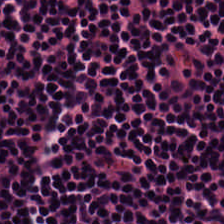Stain: H&E stain.
Resolution: 0.5 microns per pixel.
Tissue type: lymphocytes.
